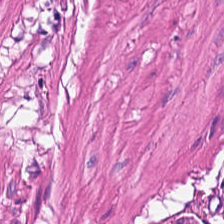224×224 px tile. Hematoxylin-and-eosin stained section — This field is muscularis.
